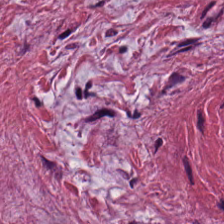Stain: H&E.
Acquisition: brightfield microscopy.
Predominant tissue: tumor-associated stroma.
